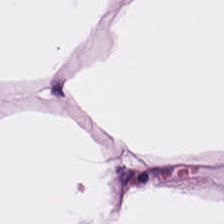Tissue class = fat tissue.
